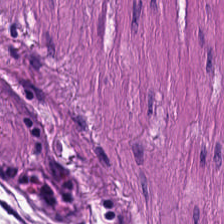H&E-stained tissue section. 224×224 px tile — Predominantly smooth-muscle tissue.
